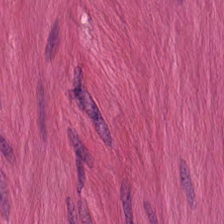0.5 microns per pixel · H&E-stained tissue section.
This field is smooth-muscle tissue.
